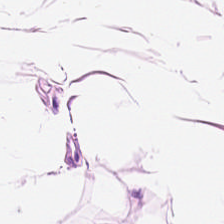WSI patch; H&E-stained tissue section — Q: What does this patch show?
A: This is adipose tissue.
